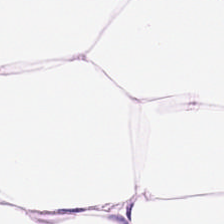224×224 px patch · H&E-stained tissue section — Showing fat tissue.
